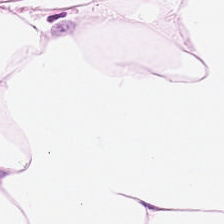Stain: hematoxylin-and-eosin stained section.
Preparation: FFPE tissue section.
Predominant tissue: adipose.
